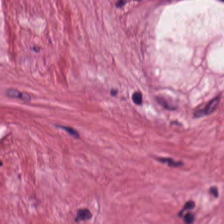Hematoxylin-and-eosin stained section — Impression — tumor-associated stroma.
